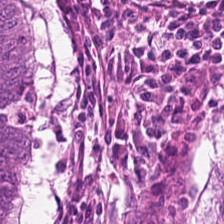H&E-stained tissue section — Adenocarcinoma.
